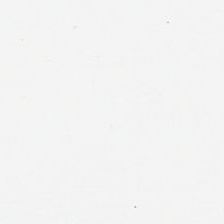Field content = empty background.
